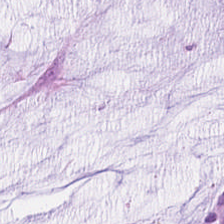H&E-stained tissue section — This field is mucus.
